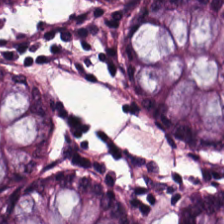Stain: H&E-stained tissue section.
Acquisition: WSI patch.
Tissue type: benign colonic mucosa.
